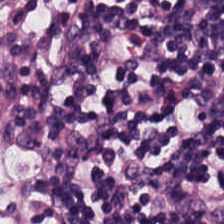H&E. The tissue type is lymphocytic infiltrate.
